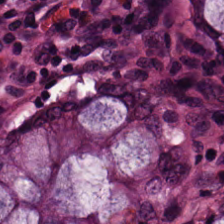224×224 px tile · H&E. Q: Classify this patch.
A: It is normal colon mucosa.
